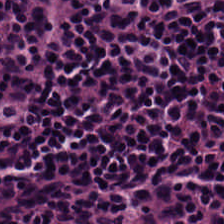Predominantly lymphocyte aggregate.
